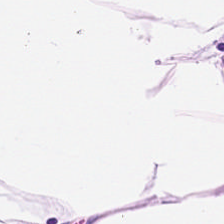20× equivalent magnification · hematoxylin and eosin.
Q: What is shown in this field?
A: This is fat tissue.
